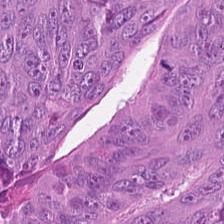Hematoxylin and eosin · FFPE. The tissue here is malignant epithelium.
